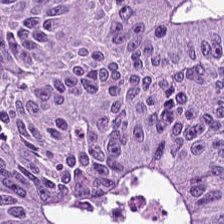Hematoxylin-and-eosin section: tumor epithelium.
